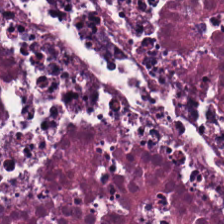Tissue class = debris.
